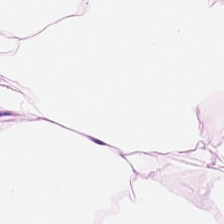Hematoxylin and eosin.
Predominantly adipocytes.
